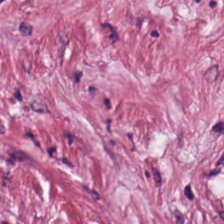0.5 µm per pixel; FFPE tissue section; hematoxylin and eosin. Q: What tissue type is shown here?
A: This is desmoplastic stroma.
